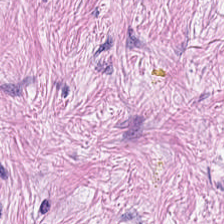Hematoxylin and eosin. Predominantly tumor-associated stroma.
